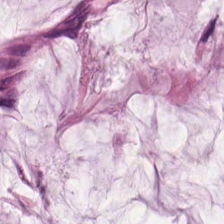Hematoxylin and eosin — The predominant tissue is mucin.
